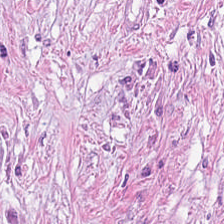Stain: hematoxylin-and-eosin stained section.
Predominant tissue: tumor-associated stroma.
